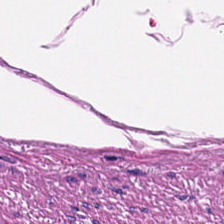Hematoxylin-and-eosin stained section. 20× equivalent magnification. Whole-slide-image patch. Showing smooth-muscle tissue.
